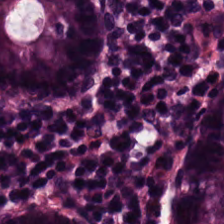Stain: hematoxylin-and-eosin stained section.
Resolution: 0.5 µm per pixel.
Tissue type: normal colonic mucosa.
